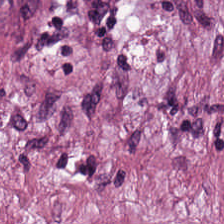Classification = tumor-associated stroma.
